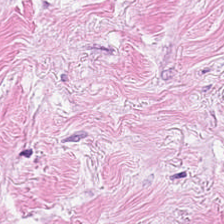Formalin-fixed paraffin-embedded section. Hematoxylin and eosin. Predominant tissue = tumor stroma.
